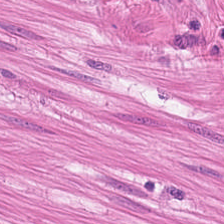The tissue here is smooth muscle.
